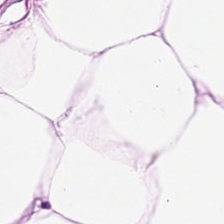Stain: H&E stain.
Tissue: fat tissue.
